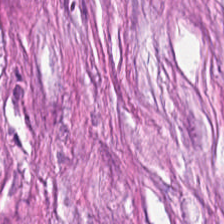Hematoxylin-and-eosin stained section — This patch shows desmoplastic stroma.
